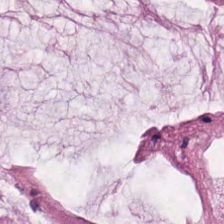H&E stain. Classification — mucin.
